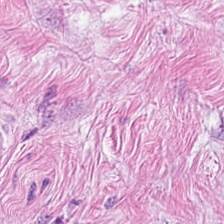20× equivalent magnification. H&E-stained tissue section. This field is tumor-associated stroma.
